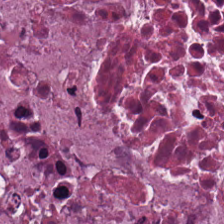224×224 pixel tile · H&E-stained tissue section. Tissue class — cellular debris.
